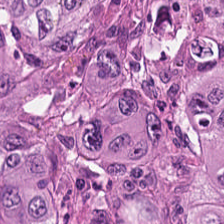Hematoxylin-and-eosin stained section.
Predominant tissue: tumor epithelium.
